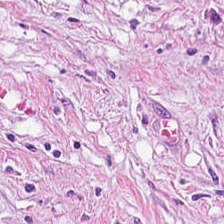Hematoxylin and eosin.
Classification: desmoplastic stroma.
